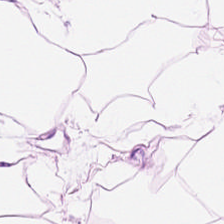Stain: H&E-stained tissue section.
Acquisition: brightfield microscopy.
Resolution: 20× equivalent magnification.
Tissue: adipocytes.
